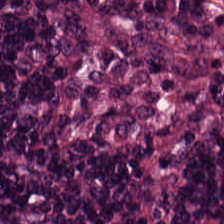Hematoxylin-and-eosin stained section · 224×224 px tile. Showing lymphocytes.
